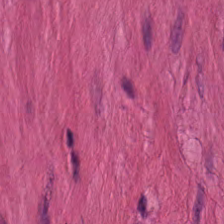Hematoxylin-and-eosin section: smooth-muscle tissue.
